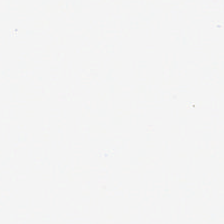Field content — background.
